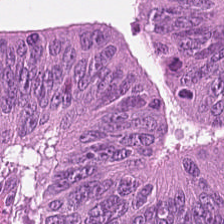Formalin-fixed paraffin-embedded section; hematoxylin and eosin — Tissue = malignant epithelium.
